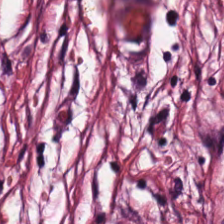Q: What tissue type is shown here?
A: The field shows tumor stroma.
